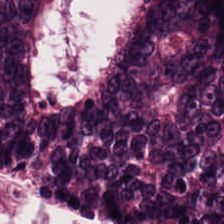224×224 px patch. H&E stain — Histology — colorectal adenocarcinoma.
